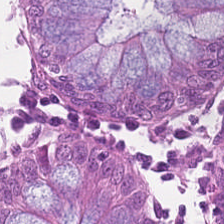H&E-stained tissue section · 20× equivalent magnification.
Benign colonic mucosa.
